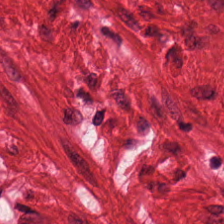Stain: hematoxylin-and-eosin stained section.
Tissue: smooth-muscle tissue.
